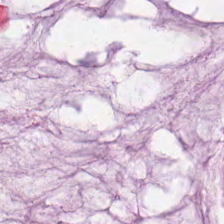H&E-stained section; the field shows mucin.
